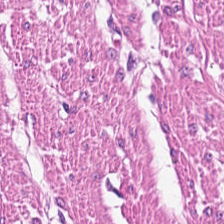Stain: hematoxylin and eosin.
Preparation: formalin-fixed paraffin-embedded section.
Resolution: 20× equivalent magnification.
Predominant tissue: smooth muscle.
